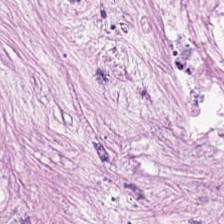H&E — Tissue: tumor-associated stroma.
